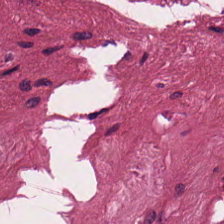Predominantly desmoplastic stroma.
